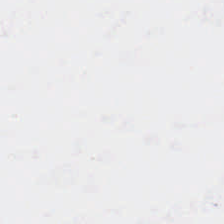Hematoxylin-and-eosin stained section · brightfield microscopy · FFPE tissue section — The content is empty background.
